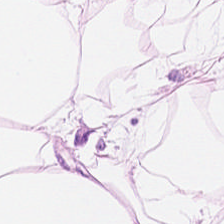Stain: hematoxylin and eosin.
Acquisition: whole-slide-image patch.
Tissue class: adipose tissue.
